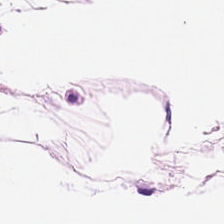Hematoxylin-and-eosin stained section · 0.5 microns per pixel — Predominant tissue — adipose.
